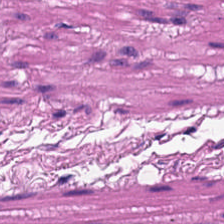Hematoxylin and eosin. The predominant tissue is smooth muscle.
